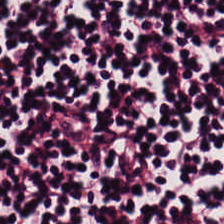Stain: H&E stain.
Classification: lymphoid infiltrate.
